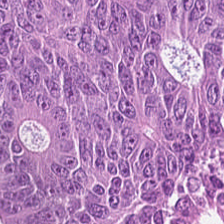Hematoxylin-and-eosin stained section.
The tissue is malignant epithelium.
